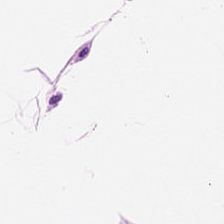This patch shows adipose tissue.
